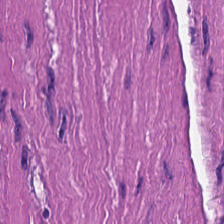Hematoxylin-and-eosin stained section.
Finding — muscularis.
